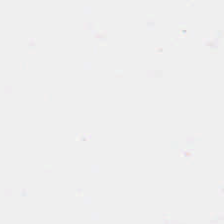Classification: background.
